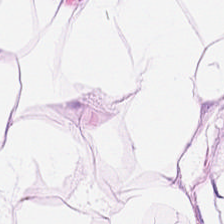H&E-stained tissue section showing adipocytes.
